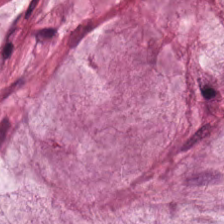H&E-stained tissue section.
Histology — extracellular mucin.
